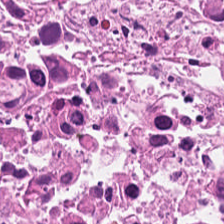Hematoxylin-and-eosin stained section. Formalin-fixed paraffin-embedded section. Tissue = cellular debris.
